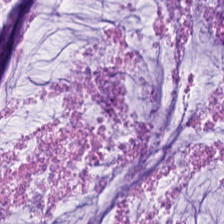Brightfield microscopy. Hematoxylin-and-eosin stained section. 20× equivalent magnification.
The tissue class is mucus.
